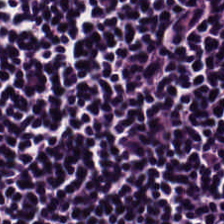Stain: hematoxylin and eosin.
Tile size: 224×224 px patch.
Classification: lymphocytic infiltrate.
